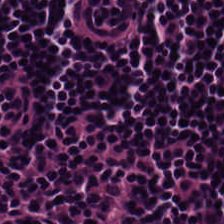H&E patch showing lymphocytic infiltrate.
